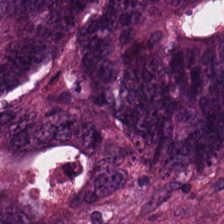Hematoxylin-and-eosin stained section · 0.5 microns per pixel.
This patch shows malignant epithelium.
